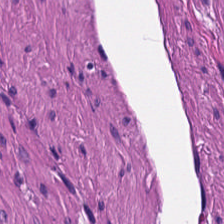H&E-stained tissue section — Predominant tissue = muscularis.
